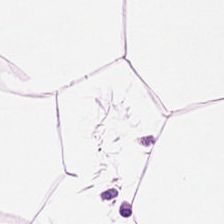Hematoxylin and eosin — The tissue class is adipose tissue.
